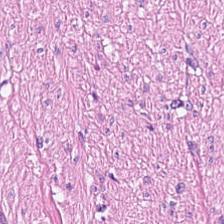Brightfield. H&E-stained tissue section. Predominant tissue = smooth muscle.
